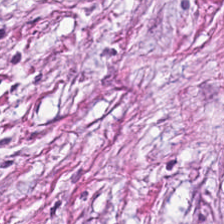H&E-stained tissue section. Showing desmoplastic stroma.
